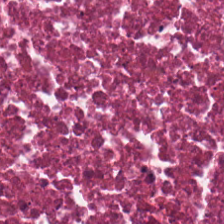Hematoxylin-and-eosin stained section — Histology → debris.
